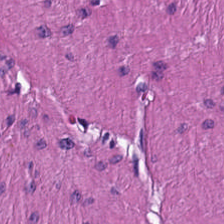224×224 pixel tile · H&E stain. Finding — smooth-muscle tissue.
